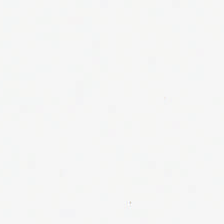20× equivalent magnification. FFPE tissue section. H&E-stained tissue section — Q: What does this patch show?
A: This is no tissue.
